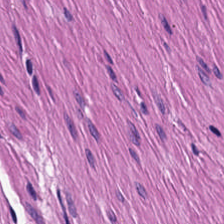Brightfield microscopy · hematoxylin and eosin. Classification — smooth-muscle tissue.
